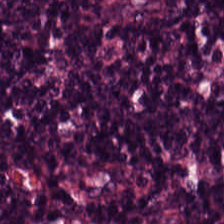224×224 px patch · H&E stain · FFPE tissue section.
Impression — lymphocytic infiltrate.
